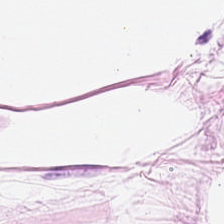Hematoxylin-and-eosin stained section; 0.5 microns per pixel — Tissue class: adipose tissue.
